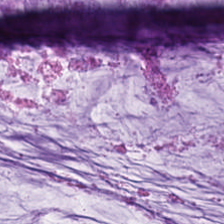This patch shows extracellular mucin.
